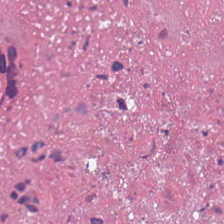H&E stain. Tissue type = debris.
